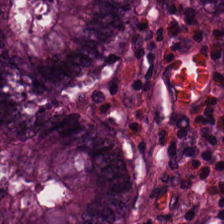Stain: hematoxylin-and-eosin stained section.
Predominant tissue: non-neoplastic colon mucosa.
